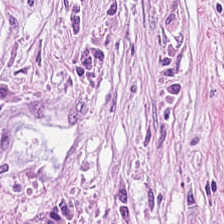Tissue: tumor-associated stroma.
